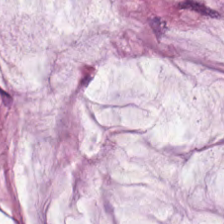0.5 µm per pixel; hematoxylin-and-eosin stained section — Q: What type of tissue is this?
A: It is mucus.
